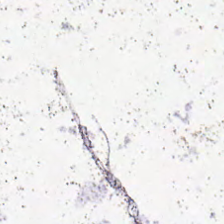Brightfield; H&E stain — This patch shows empty background.
